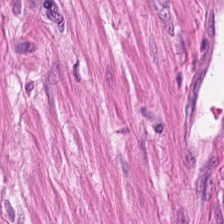0.5 microns per pixel · FFPE tissue section · hematoxylin-and-eosin stained section. The tissue type is smooth muscle.
